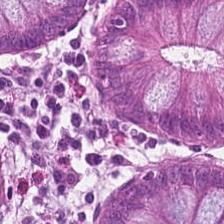Stain: H&E.
Tissue type: non-neoplastic colon mucosa.
